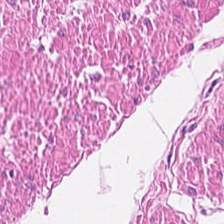0.5 microns per pixel · hematoxylin-and-eosin stained section · formalin-fixed paraffin-embedded section. Smooth-muscle tissue.
